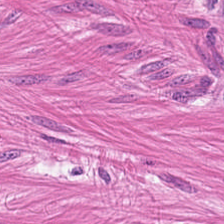Hematoxylin-and-eosin stained section — The tissue here is smooth muscle.
